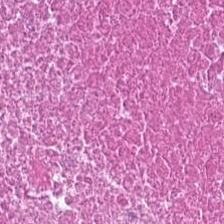H&E — Q: What is the predominant tissue type?
A: Debris.
